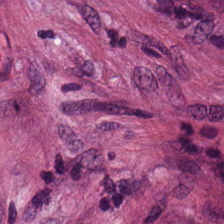Hematoxylin and eosin.
Tumor-associated stroma.
